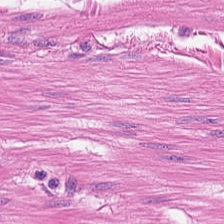H&E-stained tissue section. Brightfield — This patch shows smooth muscle.
